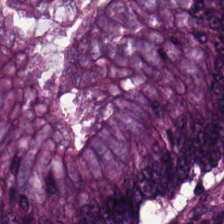224×224 px patch; 20× equivalent magnification; hematoxylin-and-eosin stained section — Histology → colorectal adenocarcinoma.
